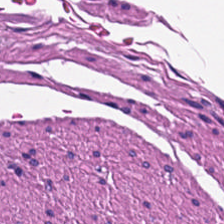The tissue is muscularis.
